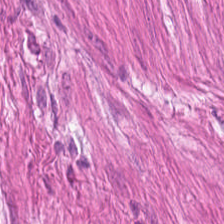Formalin-fixed paraffin-embedded section · H&E · brightfield — {"tissue_type": "smooth muscle"}
